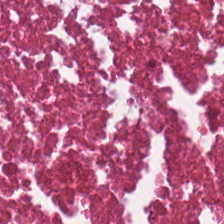Predominantly debris.
